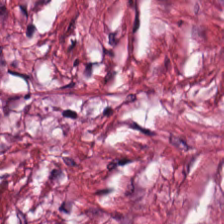Stain: H&E stain.
Resolution: 0.5 µm per pixel.
Tissue: cancer-associated stroma.
